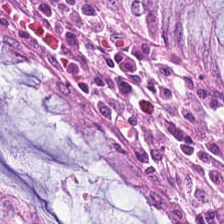The tissue here is benign colonic mucosa.
